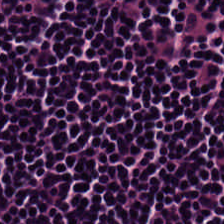0.5 µm per pixel; hematoxylin-and-eosin stained section; FFPE. The predominant tissue is lymphocytic infiltrate.
